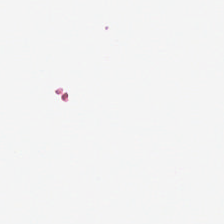H&E-stained tissue section. {"content": "background"}
